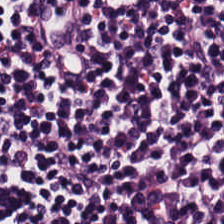20× equivalent magnification; hematoxylin-and-eosin stained section. Finding → lymphocyte aggregate.
